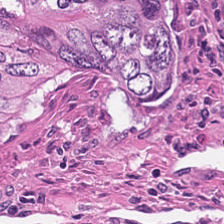H&E patch showing debris.
